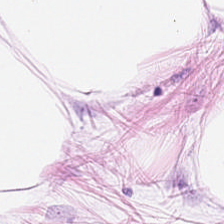H&E. Brightfield microscopy. Showing adipose tissue.
